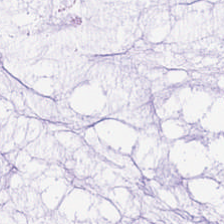H&E stain — Predominantly mucin.
